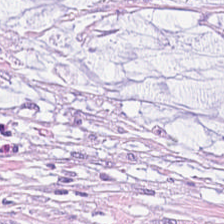H&E-stained section; the field shows extracellular mucin.
